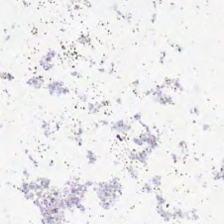H&E stain; FFPE tissue section; 0.5 µm per pixel.
Field content — background (no tissue).
